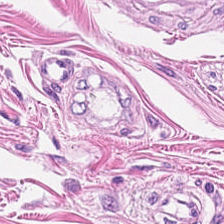H&E stain — Predominantly smooth muscle.
